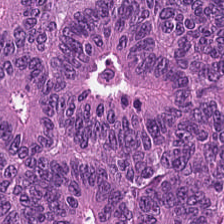Stain: H&E.
Acquisition: brightfield microscopy.
Tissue: tumor epithelium.
